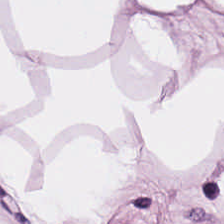H&E-stained tissue section — Tissue = adipose.
